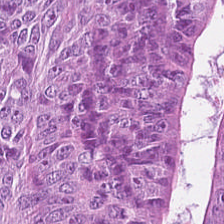Q: Identify the tissue.
A: Tumor epithelium.
